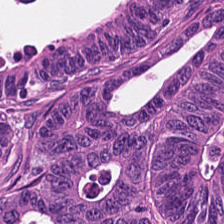Classification — tumor epithelium.
